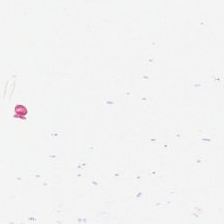H&E stain — Classification = no tissue.
